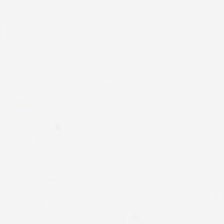FFPE; hematoxylin-and-eosin stained section; whole-slide-image patch — Classification = no tissue.
